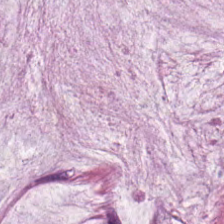0.5 microns per pixel; H&E stain. This patch shows extracellular mucin.
